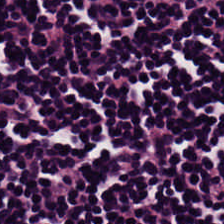Q: Classify this patch.
A: Lymphoid infiltrate.
